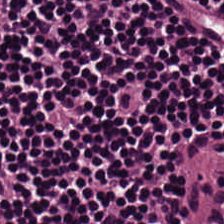Hematoxylin-and-eosin stained section.
The tissue is lymphocytes.
